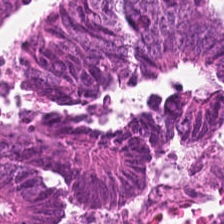Hematoxylin-and-eosin stained section. Q: Identify the tissue.
A: Malignant epithelium.
